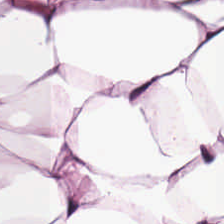H&E-stained tissue section. Q: What is shown here?
A: The field shows adipose.
